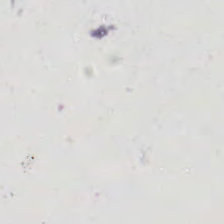WSI patch; FFPE; hematoxylin and eosin.
Impression — background.
